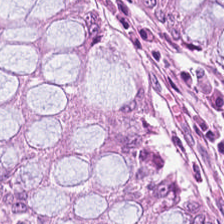H&E. Normal colonic mucosa.
